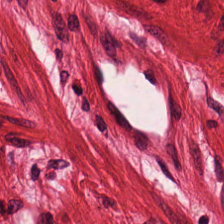Showing smooth muscle.
